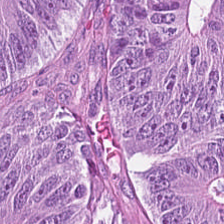Tissue type: malignant epithelium.
